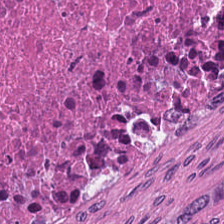H&E-stained section; the field shows necrotic debris.
